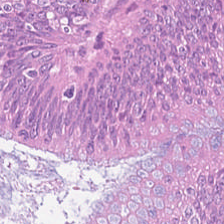0.5 µm per pixel; hematoxylin and eosin. Predominantly tumor epithelium.
